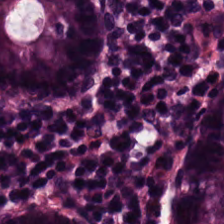H&E stain.
Normal colon mucosa.
